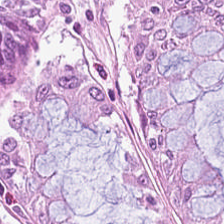Histology — normal colon mucosa.
